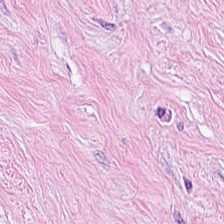Stain: hematoxylin-and-eosin stained section.
Preparation: FFPE tissue section.
Classification: desmoplastic stroma.
